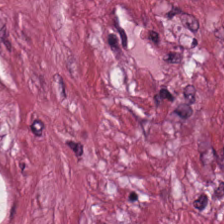H&E stain. Histology — desmoplastic stroma.
